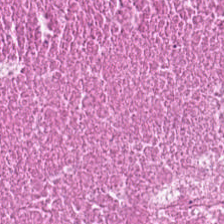H&E — {"tissue_type": "necrotic debris"}
